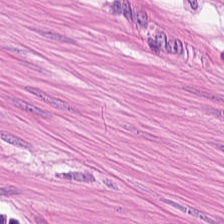Stain: H&E.
Tissue: muscularis.
